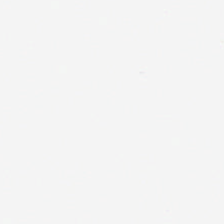Hematoxylin-and-eosin stained section. FFPE tissue section. Empty background.
